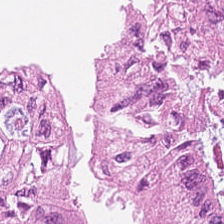H&E. Q: What is the predominant tissue type?
A: It is adenocarcinoma.
